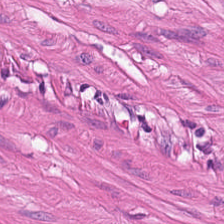Hematoxylin-and-eosin stained section · 224×224 pixel tile — Predominantly smooth-muscle tissue.
